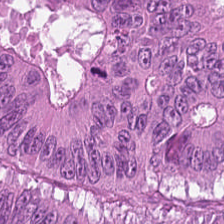Hematoxylin and eosin · whole-slide-image patch · 224×224 px tile.
This patch shows tumor epithelium.
